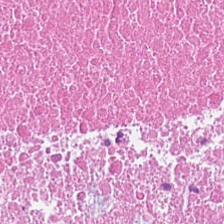H&E patch showing cellular debris.
